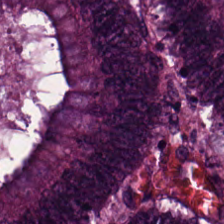Stain: H&E.
Preparation: FFPE.
Resolution: 20× equivalent magnification.
Tissue type: tumor epithelium.
